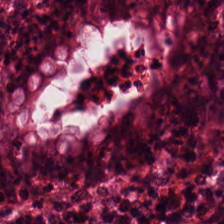H&E-stained section; the field shows normal colonic mucosa.
